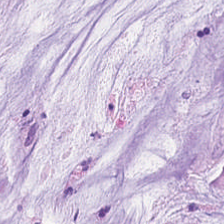{"tissue_type": "mucin"}
